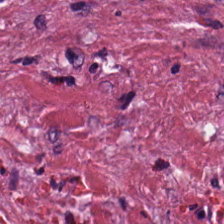224×224 pixel tile. Brightfield microscopy. H&E stain. {"tissue_type": "cancer-associated stroma"}
